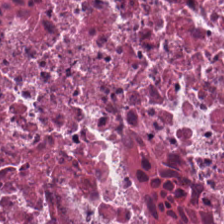Stain: hematoxylin-and-eosin stained section.
Classification: cellular debris.
